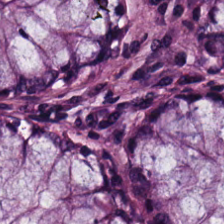Hematoxylin and eosin. 0.5 µm per pixel. FFPE tissue section. Q: Identify the tissue.
A: Normal colonic mucosa.
